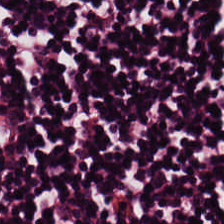224×224 px tile · 0.5 µm per pixel · hematoxylin-and-eosin stained section. Predominant tissue — lymphocytic infiltrate.
